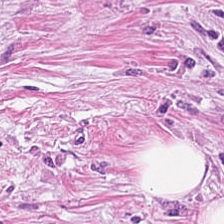H&E stain — Q: What tissue type is shown here?
A: This is cancer-associated stroma.
